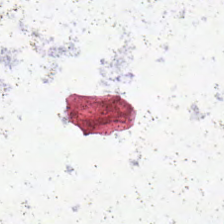H&E stain — Q: What is shown in this field?
A: It is background (no tissue).
